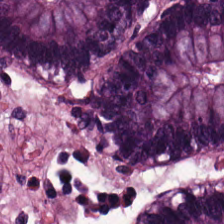Hematoxylin-and-eosin stained section; FFPE tissue section.
Q: What is the predominant tissue type?
A: This is non-neoplastic colon mucosa.
